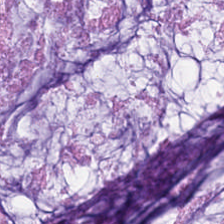Hematoxylin-and-eosin stained section — This patch shows mucin.
